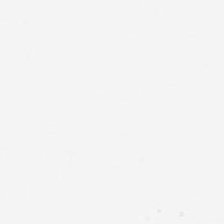H&E-stained tissue section · 224×224 px tile — Background.
